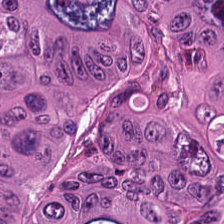H&E; formalin-fixed paraffin-embedded section.
The tissue here is malignant epithelium.
